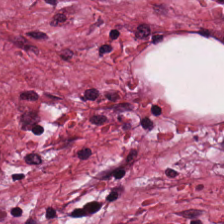H&E-stained tissue section — Q: What tissue type is shown here?
A: This is desmoplastic stroma.
